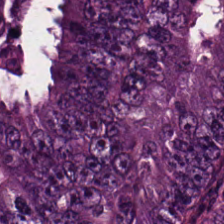H&E-stained tissue section. Tissue type — malignant epithelium.
